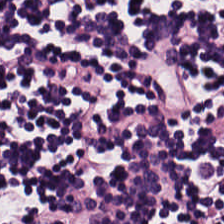{"tissue_type": "lymphocytes"}
